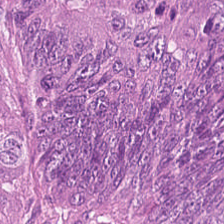H&E-stained section; the field shows colorectal adenocarcinoma epithelium.
